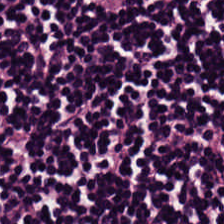WSI patch · H&E-stained tissue section.
Lymphocyte aggregate.
